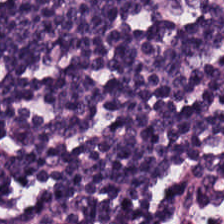Hematoxylin-and-eosin stained section.
This patch shows lymphocyte aggregate.
